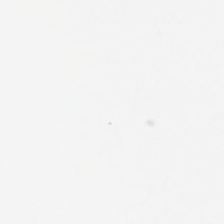This field is background (no tissue).
